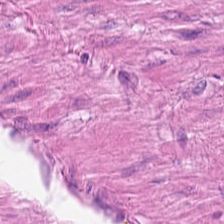Hematoxylin and eosin.
{"tissue_type": "smooth muscle"}
